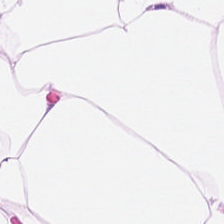Hematoxylin and eosin; 224×224 px patch.
The tissue type is adipose.
